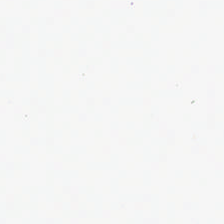H&E stain. Field content: background.
